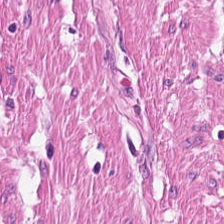H&E-stained tissue section — This patch shows smooth muscle.
